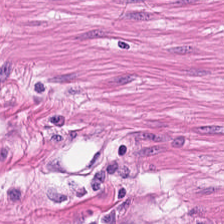Hematoxylin-and-eosin stained section — This field is smooth muscle.
